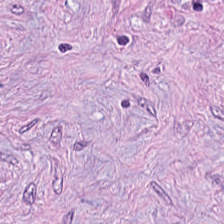H&E; brightfield; 224×224 pixel tile — Predominantly desmoplastic stroma.
